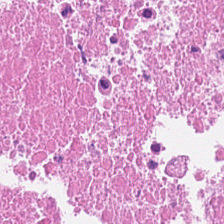Stain: hematoxylin-and-eosin stained section.
Tissue type: cellular debris.
